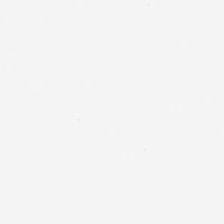Classification: empty background.
